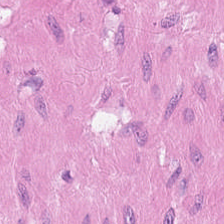Classification — muscularis.
